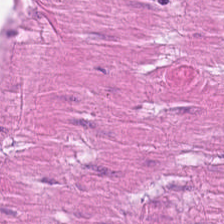224×224 px tile; H&E-stained tissue section. This patch shows smooth muscle.
